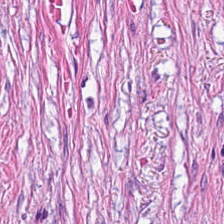Stain: hematoxylin and eosin.
Resolution: 0.5 µm per pixel.
Acquisition: brightfield microscopy.
Tissue: desmoplastic stroma.
